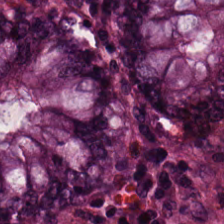Q: What is the predominant tissue type?
A: This is non-neoplastic colon mucosa.
